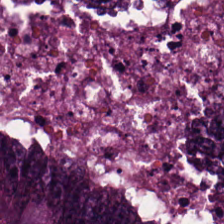H&E-stained tissue section — This patch shows malignant epithelium.
